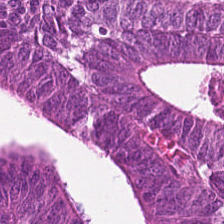Q: What type of tissue is this?
A: Adenocarcinoma.
